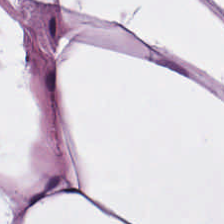Hematoxylin and eosin.
Predominantly adipose tissue.
